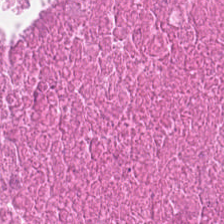Hematoxylin and eosin — Showing necrotic debris.
